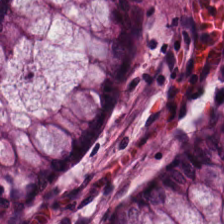Impression — non-neoplastic colon mucosa.
